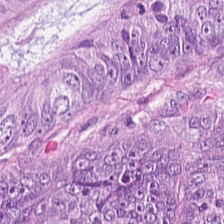Classification — adenocarcinoma.
